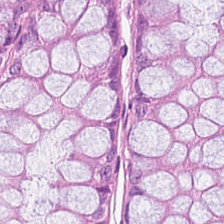224×224 px patch · H&E stain. Predominantly benign colonic mucosa.
